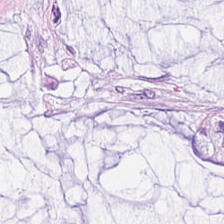H&E-stained tissue section — Predominantly mucus.
